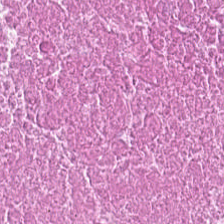Hematoxylin-and-eosin stained section. 224×224 pixel tile. 0.5 microns per pixel. Debris.
